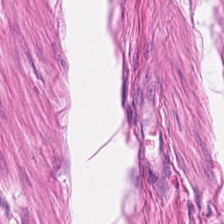Stain: H&E-stained tissue section.
Acquisition: whole-slide-image patch.
Tile size: 224×224 pixel tile.
Tissue: muscularis.
